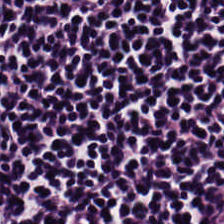H&E.
Q: What is shown in this field?
A: The field shows lymphoid infiltrate.
